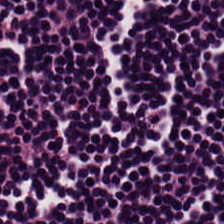Stain: H&E.
Tissue class: lymphocytic infiltrate.
